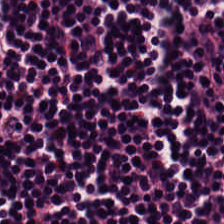H&E. Lymphocytes.
